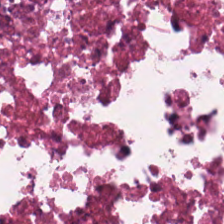Hematoxylin and eosin.
{"tissue_type": "necrotic debris"}
